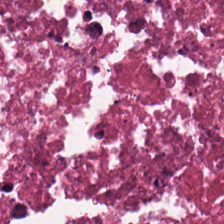Hematoxylin-and-eosin stained section · FFPE tissue section. Histology — necrotic debris.
